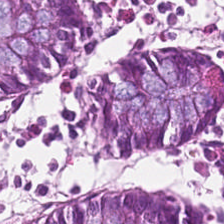H&E — {"tissue_type": "normal colon mucosa"}
